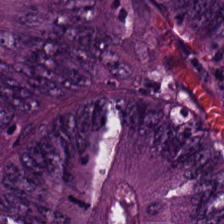H&E-stained tissue section. FFPE tissue section. 224×224 px patch — Q: Identify the tissue.
A: Colorectal adenocarcinoma.
